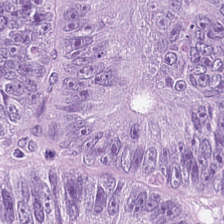Formalin-fixed paraffin-embedded section · H&E-stained tissue section.
Tissue type = tumor epithelium.
